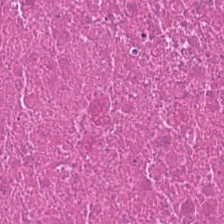Hematoxylin and eosin — Tissue class — debris.
